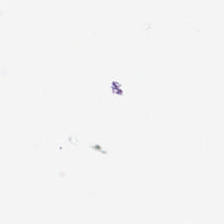Impression — empty background.
